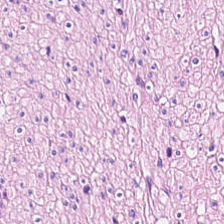H&E.
Showing smooth-muscle tissue.
